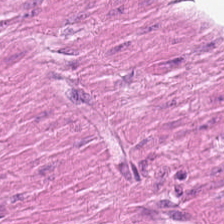H&E-stained tissue section — Q: What type of tissue is this?
A: The field shows muscularis.
